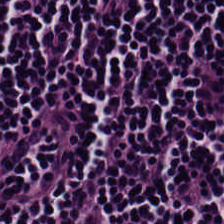H&E stain. {"tissue_type": "lymphocytic infiltrate"}
